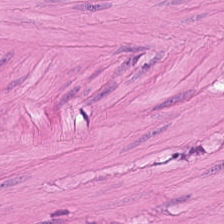H&E stain. Q: What type of tissue is this?
A: The field shows smooth-muscle tissue.
